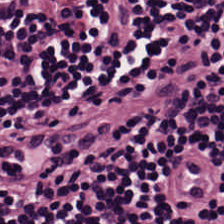Stain: hematoxylin-and-eosin stained section.
Resolution: 0.5 µm/px.
Predominant tissue: lymphoid infiltrate.
